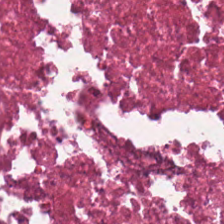H&E stain.
Cellular debris.
